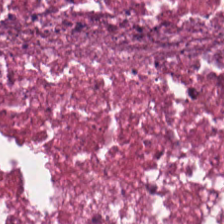Stain: H&E-stained tissue section.
Predominant tissue: debris.
